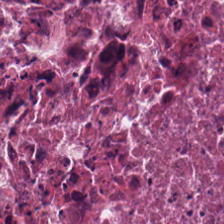H&E — debris.
